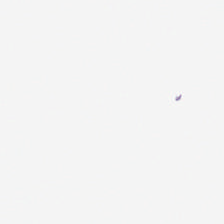Stain: hematoxylin-and-eosin stained section.
Content: empty background.
